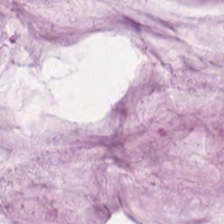Hematoxylin and eosin — Classification — mucin.
